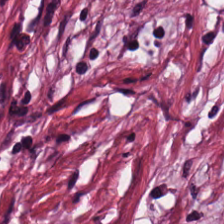0.5 µm/px. H&E. Q: What tissue type is shown here?
A: It is tumor stroma.
